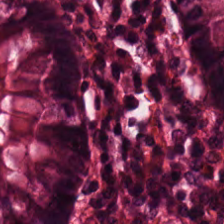Stain: H&E stain.
Acquisition: whole-slide-image patch.
Tissue type: benign colonic mucosa.
